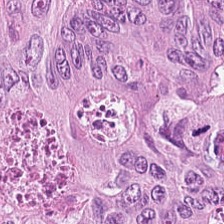Stain: H&E stain.
Tile size: 224×224 pixel tile.
Tissue class: tumor epithelium.
